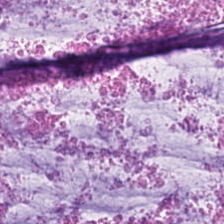H&E-stained tissue section.
The tissue is extracellular mucin.
